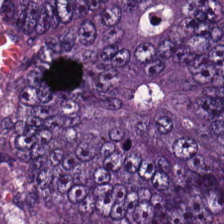H&E-stained tissue section. Showing colorectal adenocarcinoma.
